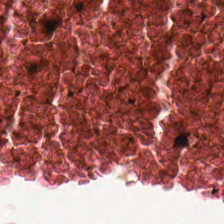Stain: hematoxylin-and-eosin stained section.
Tile size: 224×224 px patch.
Classification: cellular debris.
